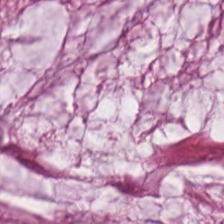Hematoxylin and eosin — Mucin.
